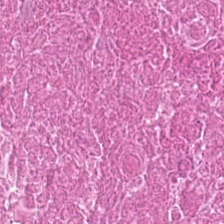Formalin-fixed paraffin-embedded section · WSI patch · H&E stain. The predominant tissue is debris.
